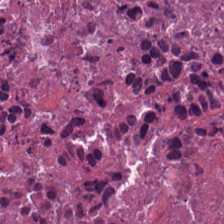Brightfield microscopy · hematoxylin-and-eosin stained section — {"tissue_type": "cellular debris"}
